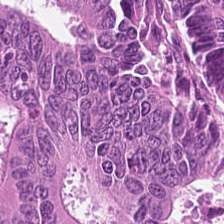WSI patch; hematoxylin-and-eosin stained section — The tissue here is malignant epithelium.
